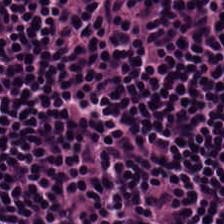Stain: H&E.
Tissue type: lymphocytic infiltrate.
